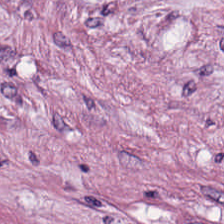H&E.
This patch shows cancer-associated stroma.
